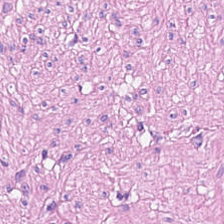Tissue — muscularis.
